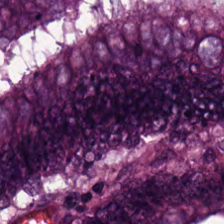H&E stain. 224×224 px patch. FFPE.
Q: Identify the tissue.
A: Adenocarcinoma.
